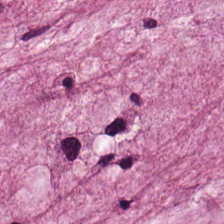Hematoxylin and eosin. 224×224 px tile — This field is mucus.
